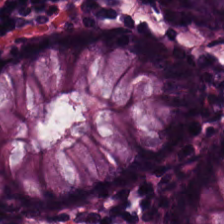H&E stain. Finding → benign colonic mucosa.
